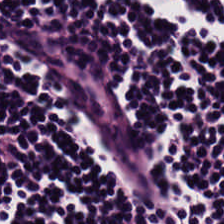Brightfield. H&E-stained tissue section — Q: What does this patch show?
A: It is lymphocytes.
